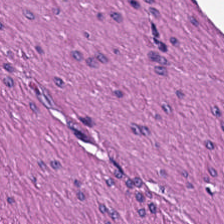Hematoxylin-and-eosin stained section.
{"tissue_type": "smooth-muscle tissue"}
